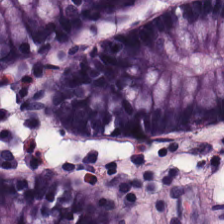Tissue type — normal colonic mucosa.
